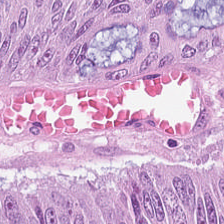H&E stain. Tissue class: colorectal adenocarcinoma epithelium.
